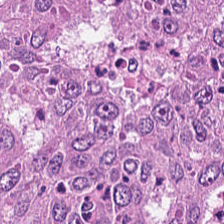Impression — tumor epithelium.
